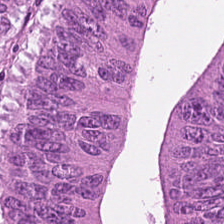Stain: H&E.
Tissue type: adenocarcinoma.
